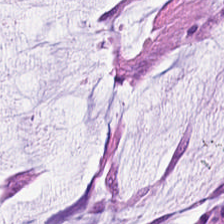Brightfield. H&E — The classification is extracellular mucin.
